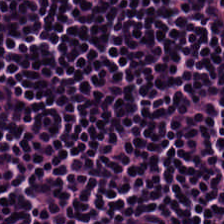H&E. FFPE tissue section. Lymphocytic infiltrate.
